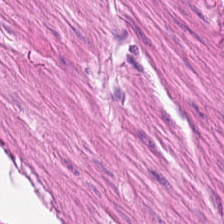224×224 pixel tile; H&E — This patch shows muscularis.
